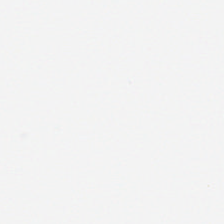Stain: hematoxylin and eosin.
Preparation: FFPE.
Field content: no tissue.
